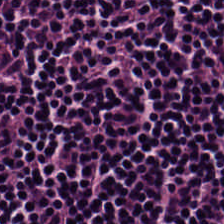Tissue class = lymphocytic infiltrate.
